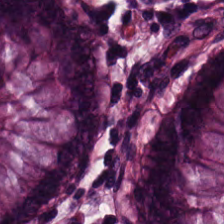H&E-stained tissue section. Impression — non-neoplastic colon mucosa.
